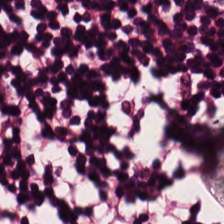Tissue class — lymphocytic infiltrate.
